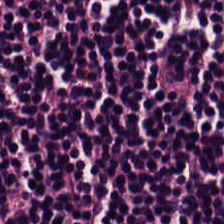Q: Identify the tissue.
A: Lymphocytes.
